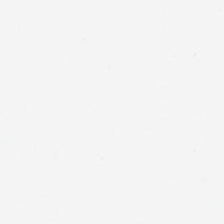Stain: hematoxylin and eosin.
Field content: background (no tissue).
